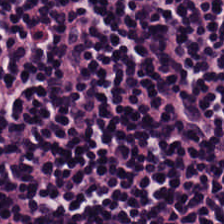Hematoxylin-and-eosin stained section. This patch shows lymphoid infiltrate.
